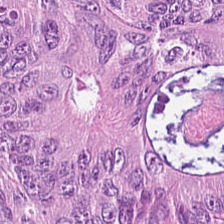Hematoxylin and eosin. FFPE tissue section — This patch shows malignant epithelium.
